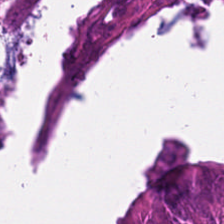Hematoxylin and eosin. Tissue type — colorectal adenocarcinoma epithelium.
